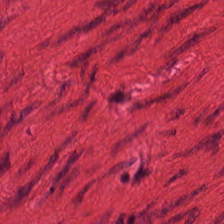Stain: hematoxylin and eosin.
Tissue type: smooth muscle.
